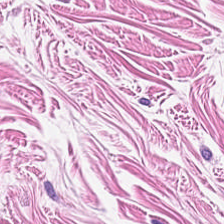H&E; 224×224 pixel tile.
Classification: smooth-muscle tissue.
